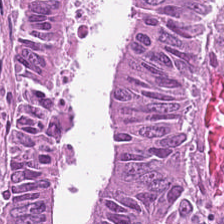Stain: H&E stain.
Tissue class: malignant epithelium.
